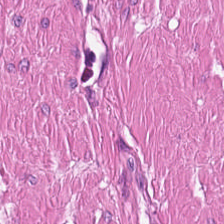FFPE · H&E stain. Q: What type of tissue is this?
A: The field shows smooth-muscle tissue.
